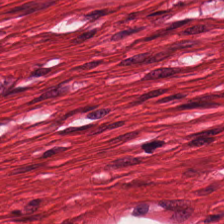H&E · FFPE — {"tissue_type": "smooth-muscle tissue"}
